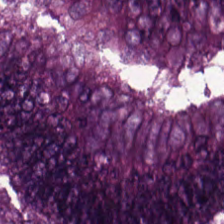{"tissue_type": "colorectal adenocarcinoma epithelium"}
